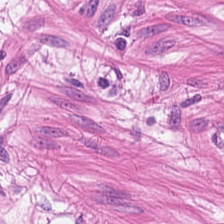H&E-stained tissue section. WSI patch. Histology — muscularis.
